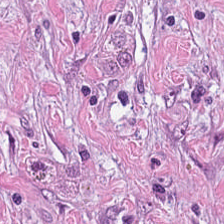20× equivalent magnification · H&E — Tissue class = cancer-associated stroma.
